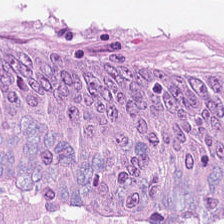H&E.
Malignant epithelium.
